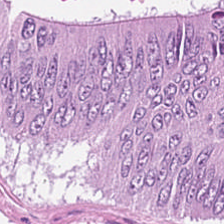This field is tumor epithelium.
